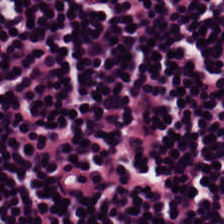H&E stain — Lymphocyte aggregate.
